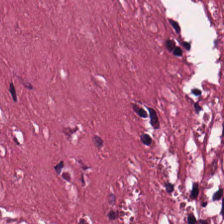0.5 µm per pixel · brightfield · hematoxylin and eosin.
Tissue type: desmoplastic stroma.
